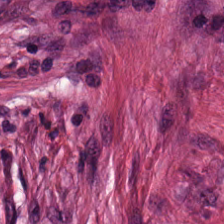Tissue class — desmoplastic stroma.
